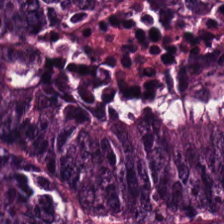H&E — Predominantly adenocarcinoma.
